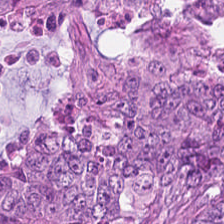Stain: hematoxylin and eosin.
Classification: tumor epithelium.
